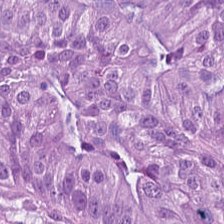Hematoxylin and eosin.
Tissue: adenocarcinoma.
